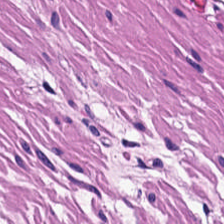FFPE; hematoxylin and eosin.
Smooth muscle.
